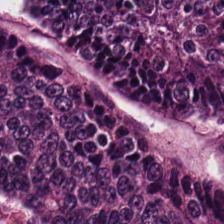The predominant tissue is colorectal adenocarcinoma.
